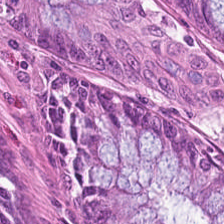Stain: H&E-stained tissue section.
Tissue: non-neoplastic colon mucosa.
